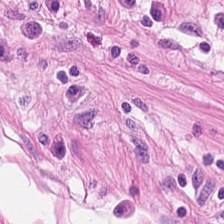Q: What is shown in this field?
A: The field shows smooth-muscle tissue.
